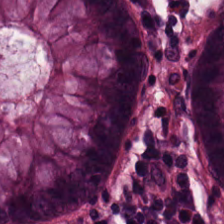H&E.
This field is benign colonic mucosa.
